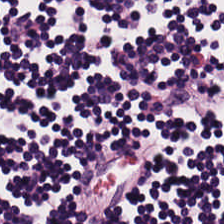H&E stain — This patch shows lymphoid infiltrate.
